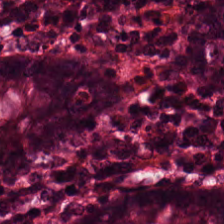Stain: H&E.
Classification: normal colonic mucosa.
